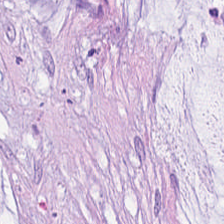Hematoxylin-and-eosin stained section. This field is mucus.
